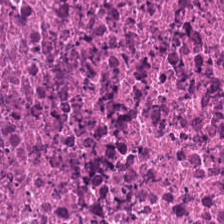Tissue: cellular debris.
